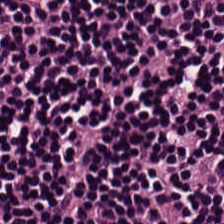224×224 pixel tile · hematoxylin-and-eosin stained section.
Tissue class — lymphocyte aggregate.
